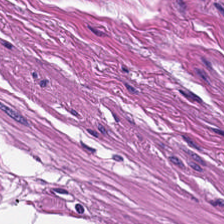This patch shows muscularis.
